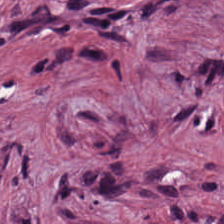Brightfield microscopy; hematoxylin-and-eosin stained section.
Showing tumor stroma.
